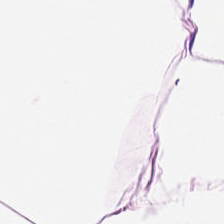Hematoxylin and eosin; formalin-fixed paraffin-embedded section. Finding → adipocytes.
